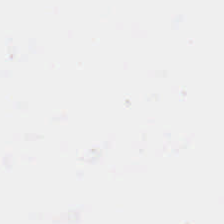0.5 microns per pixel. H&E stain. Field content — background.
